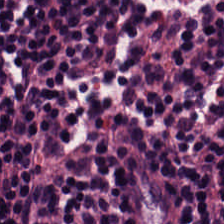20× equivalent magnification. H&E stain. This patch shows lymphocytes.
